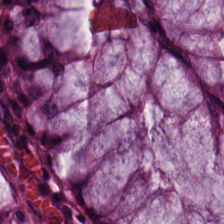Showing benign colonic mucosa.
